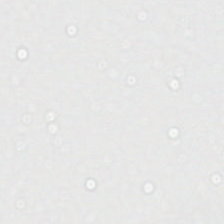H&E · whole-slide-image patch · 224×224 px tile.
Content: background.
